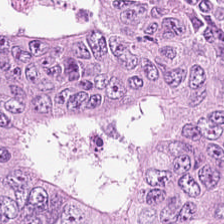Hematoxylin-and-eosin stained section.
The predominant tissue is colorectal adenocarcinoma.
